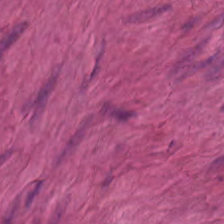Q: What tissue type is shown here?
A: Muscularis.
